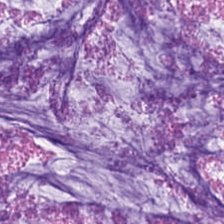Formalin-fixed paraffin-embedded section. Hematoxylin and eosin. 224×224 pixel tile — Q: Classify this patch.
A: It is mucin.
